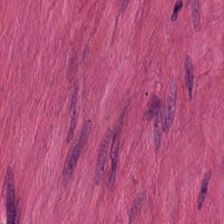Stain: H&E stain.
Tissue class: smooth muscle.
